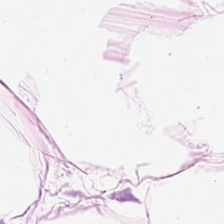Stain: H&E stain.
Acquisition: WSI patch.
Tissue class: adipose.
